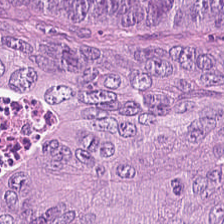Hematoxylin and eosin. Impression — malignant epithelium.
